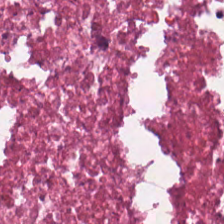Predominant tissue — debris.
